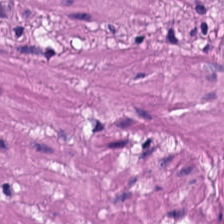Showing smooth-muscle tissue.
